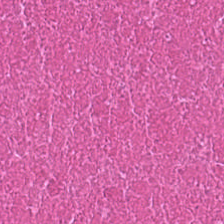{"tissue_type": "cellular debris"}
